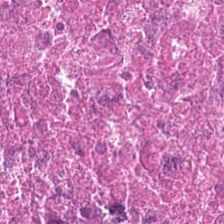Q: What is the predominant tissue type?
A: It is debris.
